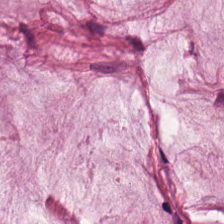0.5 µm per pixel; hematoxylin-and-eosin stained section — Q: What is the predominant tissue type?
A: It is extracellular mucin.
